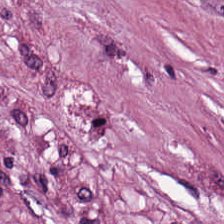H&E stain. 0.5 µm/px. 224×224 px tile — Q: What is shown in this field?
A: This is cancer-associated stroma.
